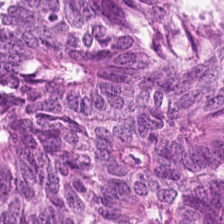{"tissue_type": "adenocarcinoma"}
